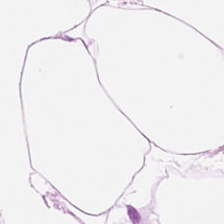0.5 µm per pixel; hematoxylin-and-eosin stained section. This patch shows adipose.
